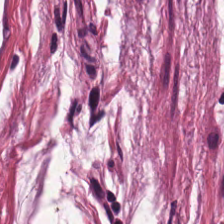Formalin-fixed paraffin-embedded section · H&E · 224×224 pixel tile — Tissue — extracellular mucin.
